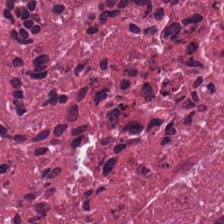Q: What type of tissue is this?
A: The field shows debris.
